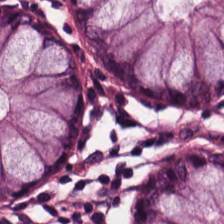The predominant tissue is non-neoplastic colon mucosa.
